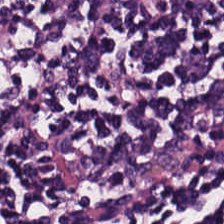Hematoxylin and eosin · 224×224 px patch — The tissue here is lymphocyte aggregate.
